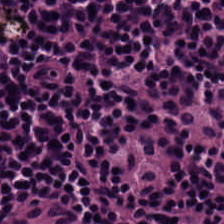Hematoxylin-and-eosin stained section. Predominantly lymphocyte aggregate.
